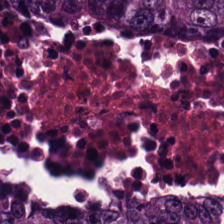Q: What is the predominant tissue type?
A: The field shows tumor epithelium.
